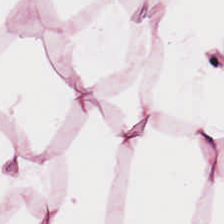H&E-stained tissue section. Whole-slide-image patch. Q: What does this patch show?
A: Adipose tissue.
